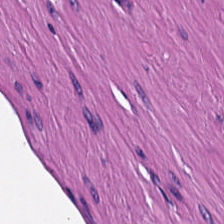Formalin-fixed paraffin-embedded section; H&E stain; 224×224 px tile. The predominant tissue is muscularis.
